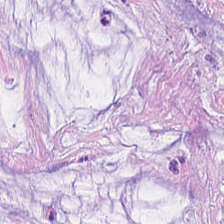Classification = mucus.
